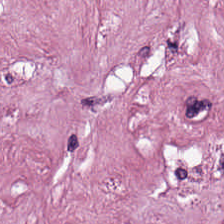H&E stain. This field is tumor stroma.
